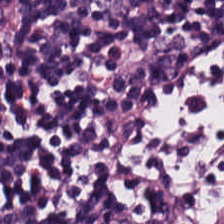Stain: hematoxylin and eosin.
Classification: lymphocytic infiltrate.
